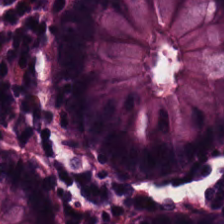Brightfield. Hematoxylin and eosin — Predominantly benign colonic mucosa.
